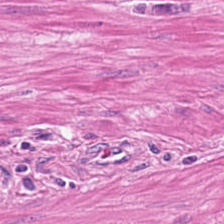Tissue class — muscularis.
